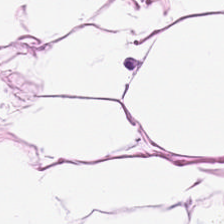H&E-stained tissue section; 0.5 microns per pixel. Adipocytes.
